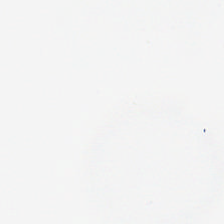H&E — Q: What is shown in this field?
A: It is empty background.
